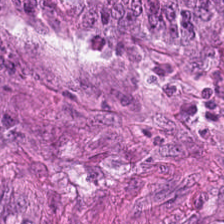H&E stain. Tissue class — malignant epithelium.
